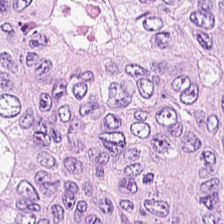H&E-stained tissue section. 224×224 px patch — Showing colorectal adenocarcinoma.
